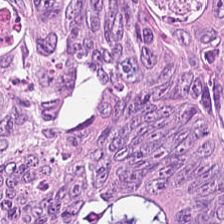224×224 px tile. FFPE. Hematoxylin and eosin — Q: What is shown here?
A: The field shows malignant epithelium.
